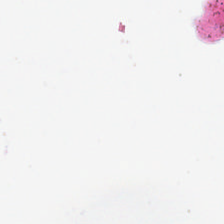H&E stain · 20× equivalent magnification. Classification: empty background.
